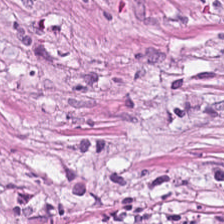H&E — This field is tumor-associated stroma.
